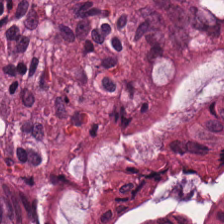H&E-stained tissue section.
Normal colon mucosa.
